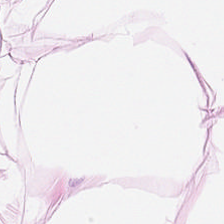224×224 pixel tile. H&E — Predominantly adipocytes.
